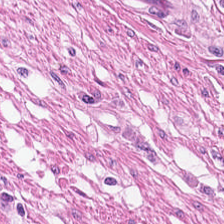H&E stain — Predominantly muscularis.
